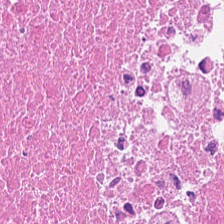0.5 µm/px · hematoxylin-and-eosin stained section · 224×224 px tile. Q: Identify the tissue.
A: It is debris.
